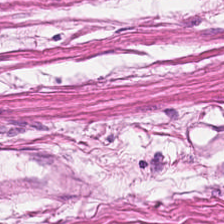Hematoxylin-and-eosin stained section · 224×224 px patch.
Predominantly muscularis.
